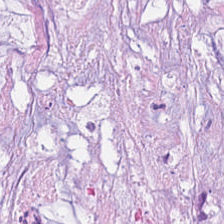H&E-stained tissue section.
This field is mucin.
